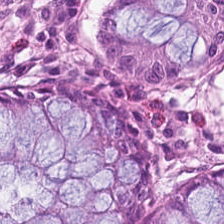Stain: hematoxylin-and-eosin stained section.
Preparation: formalin-fixed paraffin-embedded section.
Resolution: 0.5 µm/px.
Predominant tissue: non-neoplastic colon mucosa.
